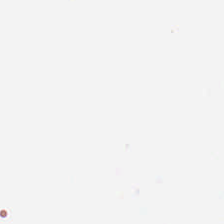224×224 pixel tile. 20× equivalent magnification. Hematoxylin and eosin.
This patch shows background.
